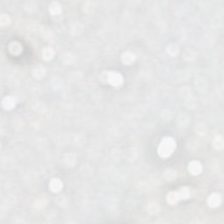H&E-stained tissue section; brightfield microscopy; FFPE.
{"content": "background"}
